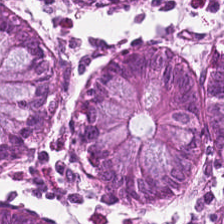FFPE tissue section; 0.5 microns per pixel; hematoxylin-and-eosin stained section. Finding — benign colonic mucosa.
